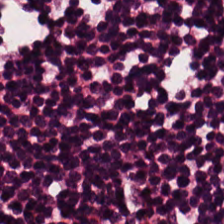Tissue class = lymphoid infiltrate.
